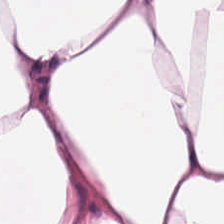0.5 µm per pixel; H&E-stained tissue section. This patch shows adipocytes.
